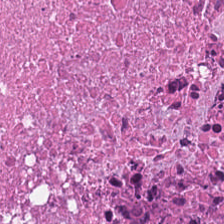Hematoxylin-and-eosin stained section; 0.5 microns per pixel; brightfield. Tissue type: necrotic debris.
